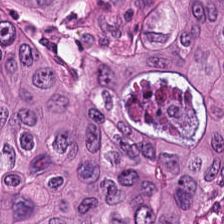H&E stain.
Q: Identify the tissue.
A: It is malignant epithelium.
